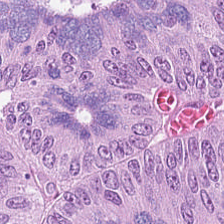H&E — The predominant tissue is tumor epithelium.
